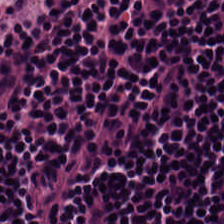Q: What does this patch show?
A: This is lymphocytes.
